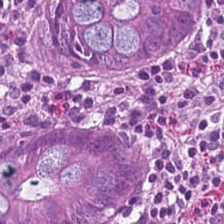0.5 microns per pixel. H&E stain. Q: What is shown in this field?
A: It is normal colonic mucosa.
